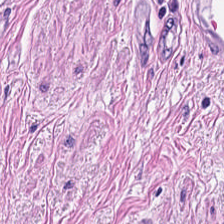FFPE tissue section; H&E — Q: What type of tissue is this?
A: Smooth muscle.
